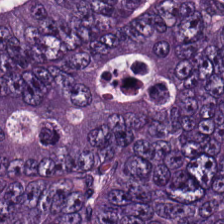Hematoxylin-and-eosin stained section. The classification is malignant epithelium.
